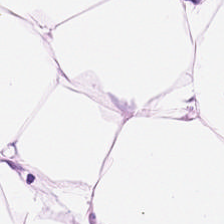FFPE. Hematoxylin-and-eosin stained section — This patch shows adipose.
